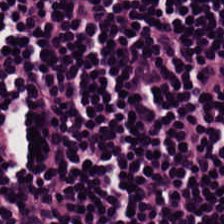Hematoxylin and eosin.
Q: Identify the tissue.
A: The field shows lymphocytes.
